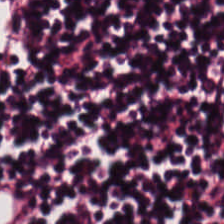FFPE tissue section. H&E.
Predominantly lymphoid infiltrate.
